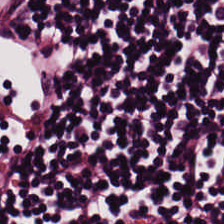Brightfield microscopy; 224×224 px patch; H&E.
This field is lymphocytes.
